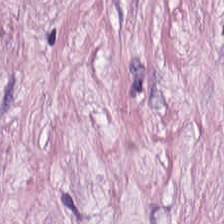Q: What is the predominant tissue type?
A: Tumor stroma.
